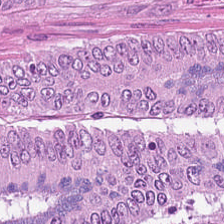Hematoxylin and eosin — Q: What tissue type is shown here?
A: Adenocarcinoma.
